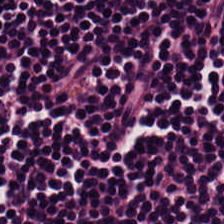The tissue class is lymphoid infiltrate.
